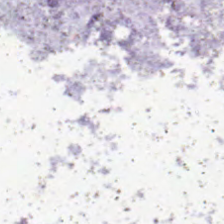Stain: hematoxylin-and-eosin stained section.
Field content: empty background.
